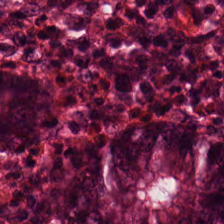224×224 pixel tile. Hematoxylin and eosin.
This patch shows non-neoplastic colon mucosa.
